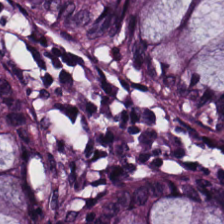H&E stain — Q: What tissue is shown?
A: The field shows benign colonic mucosa.
